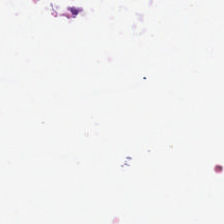Classification = empty background.
